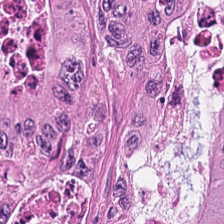Hematoxylin and eosin. 224×224 pixel tile. Finding → colorectal adenocarcinoma epithelium.
